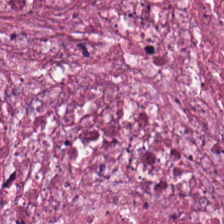The tissue here is cellular debris.
